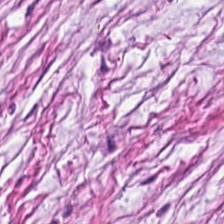Hematoxylin and eosin. Finding → cancer-associated stroma.
